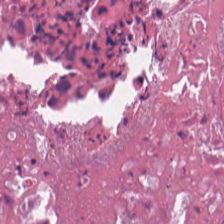Stain: hematoxylin-and-eosin stained section.
Tissue: debris.
